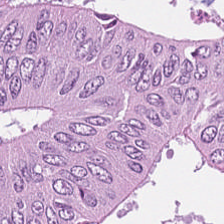Stain: H&E-stained tissue section.
Tissue type: tumor epithelium.
